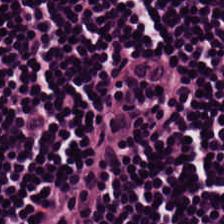Whole-slide-image patch · hematoxylin and eosin — Tissue class — lymphoid infiltrate.
